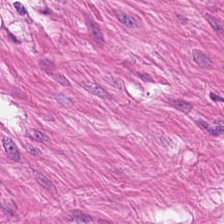Hematoxylin and eosin. 0.5 microns per pixel. 224×224 pixel tile — This field is smooth muscle.
